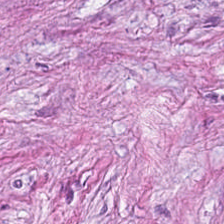H&E-stained tissue section. FFPE. Cancer-associated stroma.
